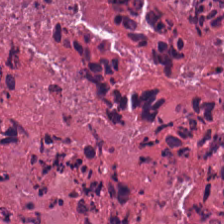H&E stain. 224×224 px patch.
Impression — debris.
